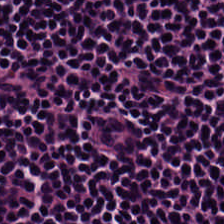This field is lymphoid infiltrate.
